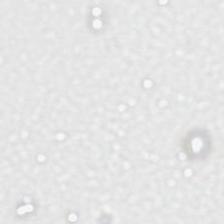Q: What is shown here?
A: The field shows background (no tissue).
